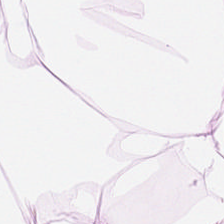0.5 µm/px. H&E. Histology — fat tissue.
